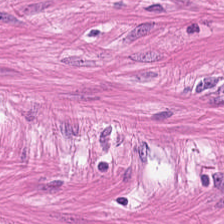The tissue class is muscularis.
